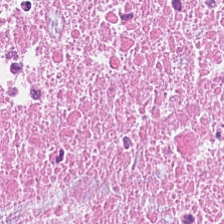Hematoxylin-and-eosin stained section; 0.5 microns per pixel; brightfield. The predominant tissue is debris.
